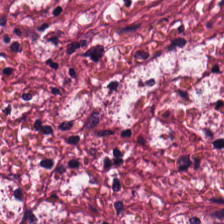Stain: H&E stain.
Tissue: cancer-associated stroma.
